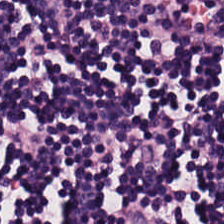Histology → lymphocyte aggregate.
